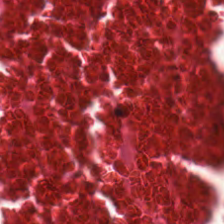H&E-stained tissue section · 224×224 pixel tile · 0.5 µm per pixel — The tissue is necrotic debris.
